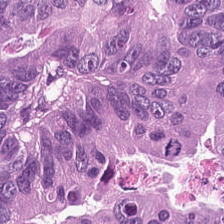H&E — colorectal adenocarcinoma.
